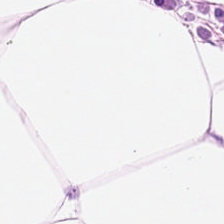Q: Identify the tissue.
A: The field shows fat tissue.
